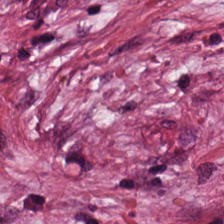224×224 pixel tile. Hematoxylin and eosin.
Finding — tumor-associated stroma.
